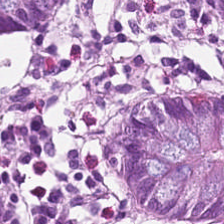H&E-stained tissue section — This field is normal colonic mucosa.
